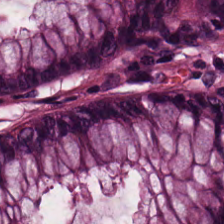Hematoxylin-and-eosin stained section.
This field is normal colon mucosa.
